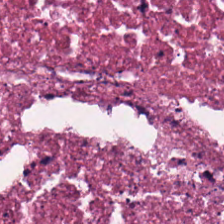Classification = cellular debris.
